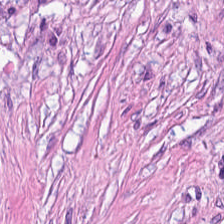Stain: H&E.
Tile size: 224×224 px patch.
Tissue: desmoplastic stroma.
